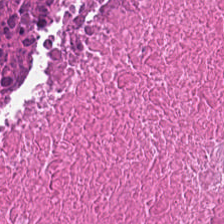H&E-stained tissue section; brightfield; 0.5 microns per pixel — Q: What is the predominant tissue type?
A: Necrotic debris.
